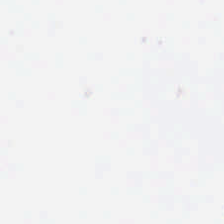This patch shows background (no tissue).
